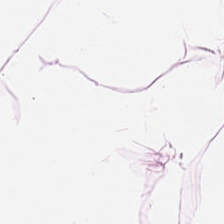H&E stain · 224×224 pixel tile.
Histology — adipose tissue.
